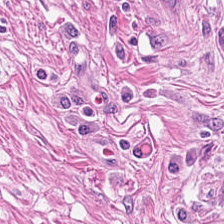224×224 pixel tile; H&E-stained tissue section. Smooth-muscle tissue.
